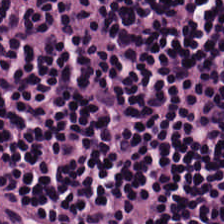Hematoxylin-and-eosin stained section; brightfield; 0.5 µm per pixel — Histology — lymphocyte aggregate.
